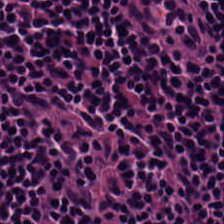H&E patch showing lymphocytes.
